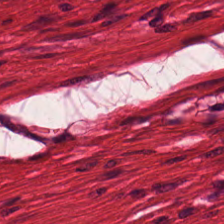H&E stain; 224×224 px patch — Predominantly muscularis.
